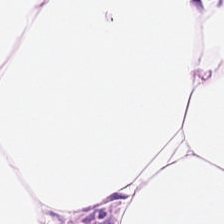Hematoxylin and eosin; 224×224 px tile. This field is adipocytes.
